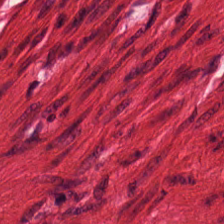Hematoxylin-and-eosin stained section · 0.5 microns per pixel · brightfield microscopy — The predominant tissue is smooth muscle.
